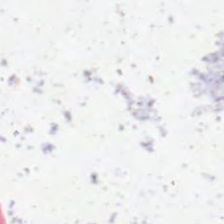H&E stain.
Field content: no tissue.
